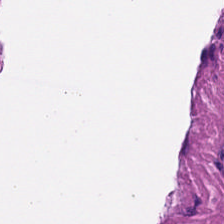Finding → smooth muscle.
